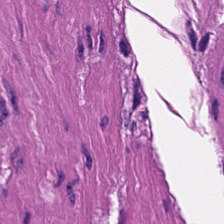H&E-stained tissue section · 224×224 pixel tile.
Q: Identify the tissue.
A: It is muscularis.
